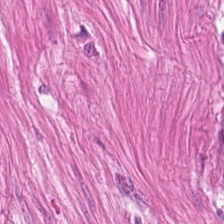H&E-stained tissue section — The tissue here is muscularis.
